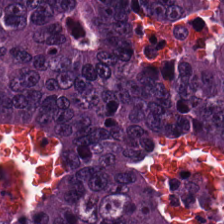H&E. This patch shows tumor epithelium.
